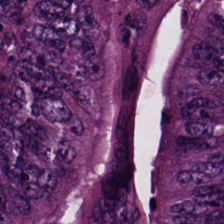Hematoxylin and eosin — Q: What type of tissue is this?
A: Adenocarcinoma.
